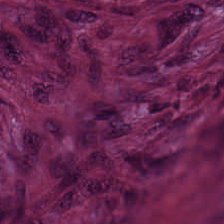Stain: H&E.
Preparation: formalin-fixed paraffin-embedded section.
Resolution: 0.5 µm/px.
Tissue class: cancer-associated stroma.
